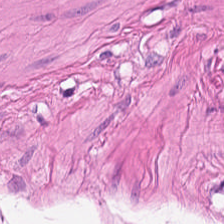Hematoxylin and eosin. The predominant tissue is smooth muscle.
